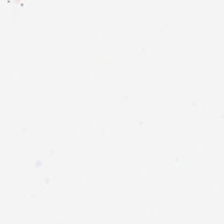H&E-stained tissue section · 20× equivalent magnification — The field content is empty background.
